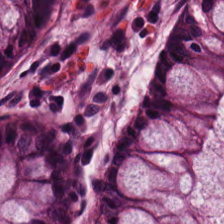Stain: hematoxylin-and-eosin stained section.
Preparation: formalin-fixed paraffin-embedded section.
Tissue class: normal colon mucosa.
